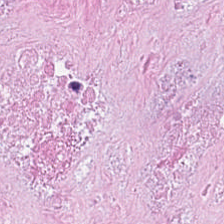Hematoxylin and eosin. The tissue class is debris.
